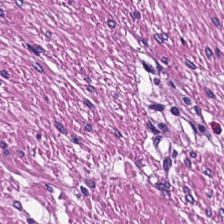Brightfield; hematoxylin and eosin. Tissue type: smooth muscle.
